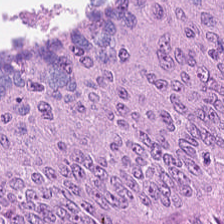0.5 microns per pixel · FFPE · H&E.
Finding — colorectal adenocarcinoma epithelium.
